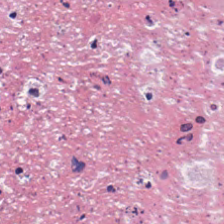Stain: H&E.
Acquisition: WSI patch.
Resolution: 0.5 µm/px.
Tissue type: necrotic debris.
